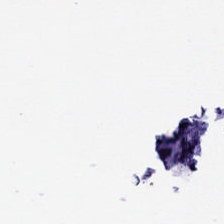224×224 px patch. H&E. Brightfield — The classification is background.
